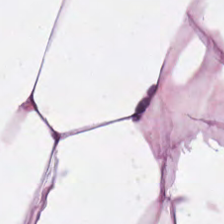The classification is adipocytes.
